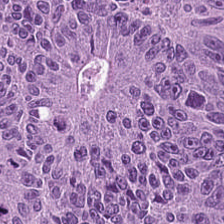H&E-stained tissue section showing tumor epithelium.
